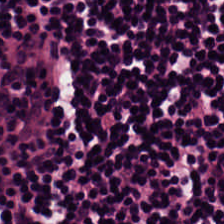Hematoxylin-and-eosin stained section — Predominantly lymphocytic infiltrate.
